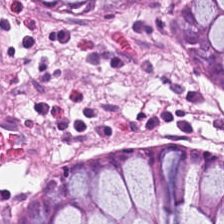Tissue type: non-neoplastic colon mucosa.
